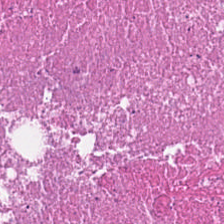Showing cellular debris.
